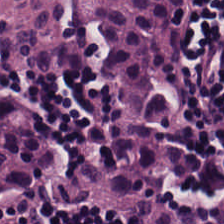Hematoxylin and eosin; FFPE. Finding — lymphocytic infiltrate.
